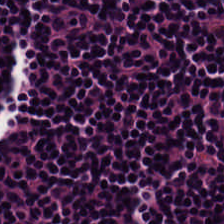H&E. Histology → lymphocytes.
